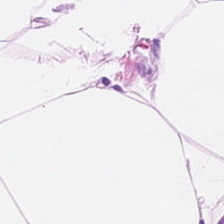H&E.
Showing adipocytes.
